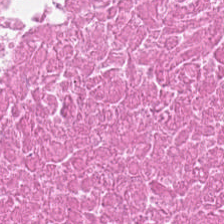Tissue class — necrotic debris.
